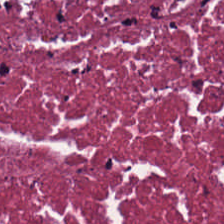Debris.
